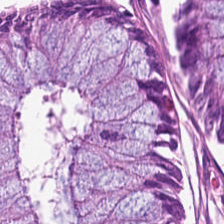H&E; formalin-fixed paraffin-embedded section; 0.5 µm/px.
Q: Classify this patch.
A: It is benign colonic mucosa.
